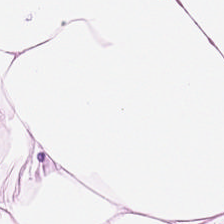H&E-stained tissue section. WSI patch. 224×224 pixel tile — Predominant tissue: fat tissue.
